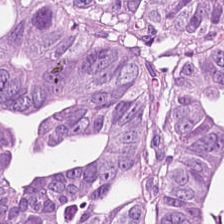H&E — This patch shows tumor epithelium.
